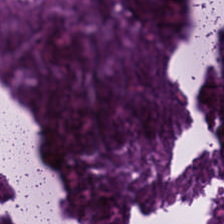0.5 µm per pixel. FFPE. H&E stain.
The tissue here is necrotic debris.
